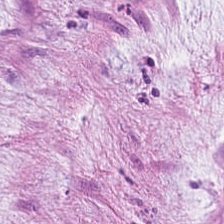0.5 µm per pixel. Hematoxylin and eosin. FFPE — Impression — extracellular mucin.
